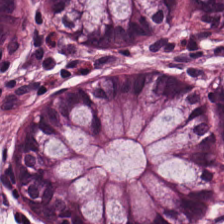H&E.
Q: Identify the tissue.
A: The field shows normal colonic mucosa.
